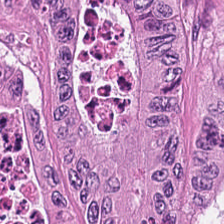Hematoxylin-and-eosin stained section; WSI patch. This patch shows colorectal adenocarcinoma epithelium.
